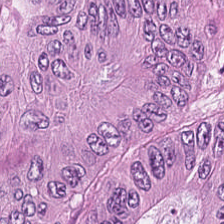H&E-stained tissue section. 0.5 µm per pixel. WSI patch. Q: What is the predominant tissue type?
A: Adenocarcinoma.
